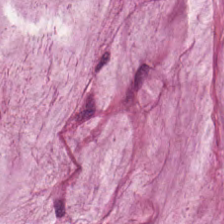FFPE · H&E stain. Classification — mucus.
